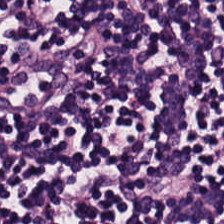H&E stain. Predominant tissue = lymphocytic infiltrate.
